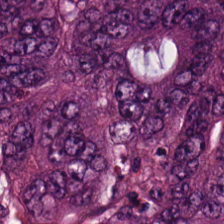H&E-stained tissue section.
Classification = tumor epithelium.
